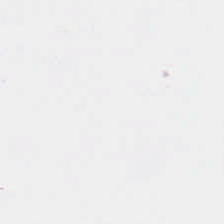Histology — background (no tissue).
